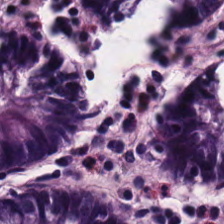Hematoxylin-and-eosin stained section.
Classification: normal colon mucosa.
